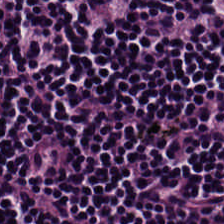Hematoxylin-and-eosin stained section; 224×224 pixel tile — Q: What tissue is shown?
A: Lymphocyte aggregate.
